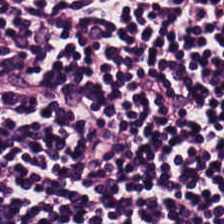Hematoxylin-and-eosin stained section. This field is lymphoid infiltrate.
